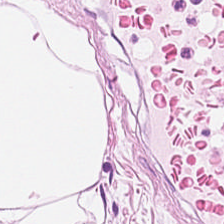H&E-stained tissue section showing adipose.
